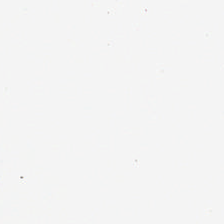Hematoxylin-and-eosin stained section.
Content: no tissue.
